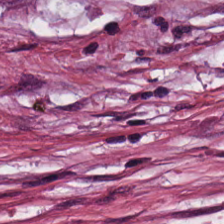H&E stain — Tissue class — tumor stroma.
